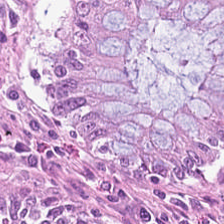H&E stain; FFPE tissue section — {"tissue_type": "benign colonic mucosa"}
